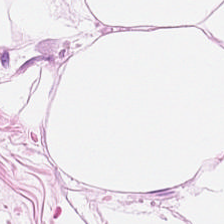H&E; 224×224 pixel tile.
Q: What type of tissue is this?
A: It is adipose tissue.
